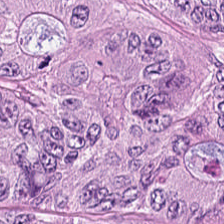Stain: H&E stain.
Tissue: colorectal adenocarcinoma.
